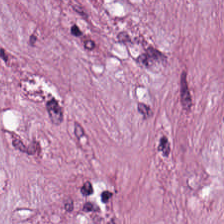Stain: hematoxylin and eosin.
Predominant tissue: desmoplastic stroma.
